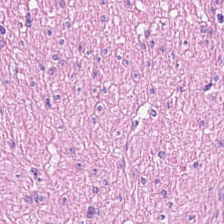224×224 px patch · H&E-stained tissue section. The tissue here is muscularis.
